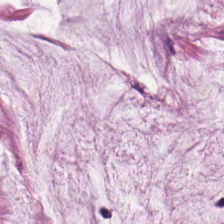224×224 pixel tile · H&E — Q: What tissue is shown?
A: Mucin.
